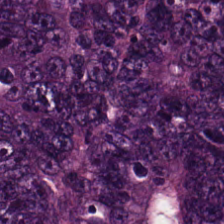H&E.
The predominant tissue is colorectal adenocarcinoma epithelium.
